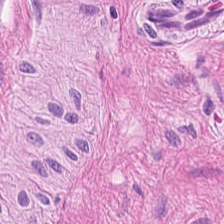H&E.
Predominantly muscularis.
